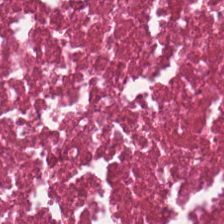Formalin-fixed paraffin-embedded section · hematoxylin-and-eosin stained section — Tissue type = necrotic debris.
